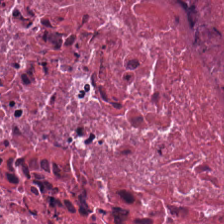H&E stain · brightfield microscopy — Predominant tissue: cellular debris.
